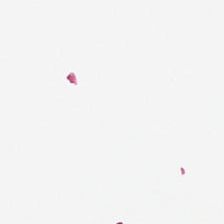H&E-stained tissue section; brightfield.
Empty field — empty background.
